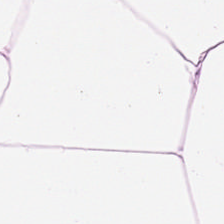H&E-stained tissue section.
Histology — adipose tissue.
